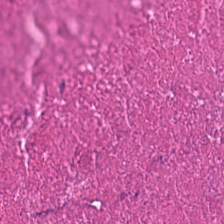Stain: hematoxylin-and-eosin stained section.
Resolution: 0.5 microns per pixel.
Tissue: cellular debris.
